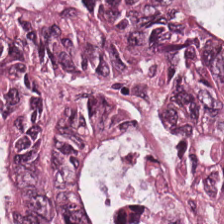Hematoxylin-and-eosin stained section — Tissue: colorectal adenocarcinoma.
